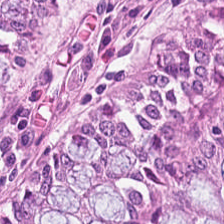Hematoxylin-and-eosin stained section · 20× equivalent magnification — {"tissue_type": "normal colon mucosa"}
